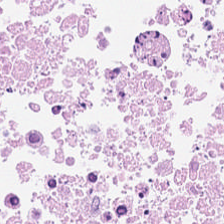H&E stain — Impression — cellular debris.
